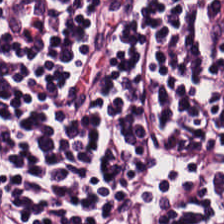Tissue type = lymphoid infiltrate.
